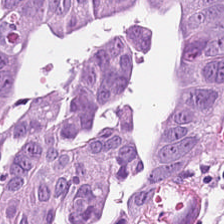0.5 µm per pixel; H&E — The predominant tissue is malignant epithelium.
